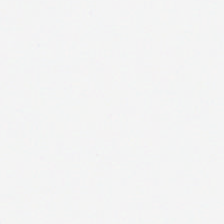Hematoxylin and eosin — Background — no tissue in this field.
